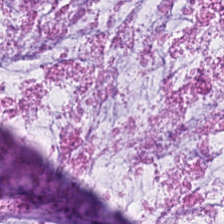FFPE. Hematoxylin and eosin. Classification — mucin.
